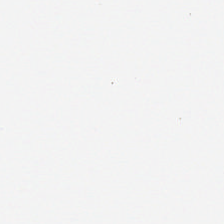Hematoxylin and eosin — Q: Classify this patch.
A: It is background.
